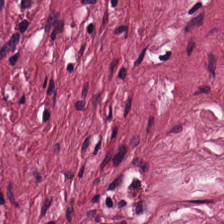H&E patch showing desmoplastic stroma.
